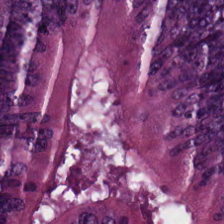{"tissue_type": "adenocarcinoma"}
